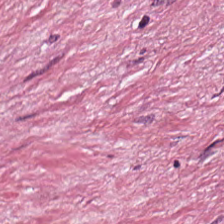Formalin-fixed paraffin-embedded section; H&E stain — Finding — tumor-associated stroma.
